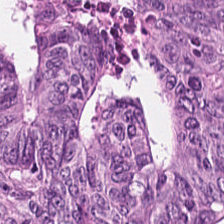H&E. Tissue class — colorectal adenocarcinoma.
